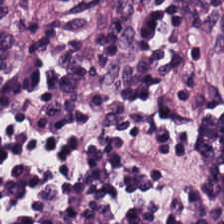Whole-slide-image patch. 224×224 pixel tile. Hematoxylin-and-eosin stained section. Tissue class: lymphocytes.
